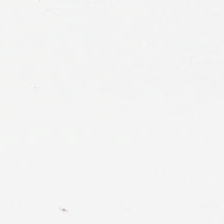H&E-stained tissue section. Formalin-fixed paraffin-embedded section. Empty field — background.
